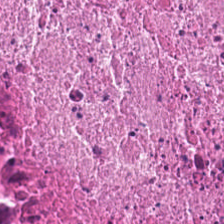Hematoxylin-and-eosin stained section. This field is cellular debris.
